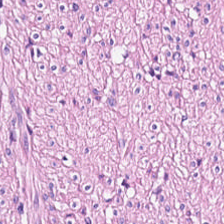224×224 pixel tile. 0.5 microns per pixel. H&E.
Q: What is shown here?
A: The field shows muscularis.
